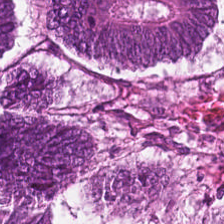Whole-slide-image patch. FFPE tissue section. Hematoxylin and eosin — Histology — colorectal adenocarcinoma epithelium.
